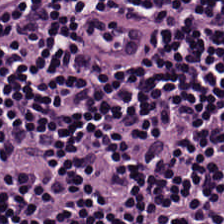WSI patch · H&E — Predominantly lymphocytic infiltrate.
